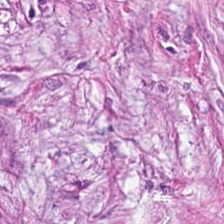0.5 microns per pixel · H&E. Impression → tumor-associated stroma.
